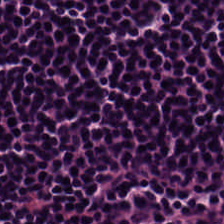Hematoxylin-and-eosin stained section — Histology → lymphocyte aggregate.
